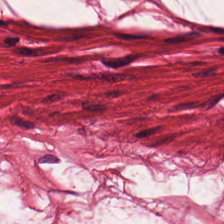Stain: H&E-stained tissue section.
Predominant tissue: smooth muscle.
